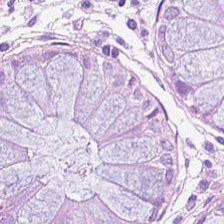Hematoxylin-and-eosin stained section; 224×224 px tile. Q: What type of tissue is this?
A: This is normal colon mucosa.
